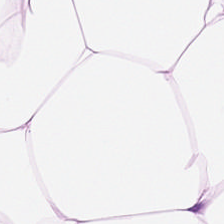Classification — fat tissue.
